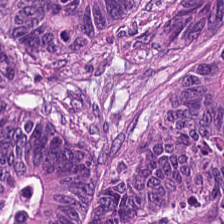Predominant tissue: tumor epithelium.
